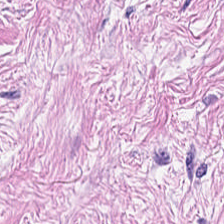H&E — cancer-associated stroma.
